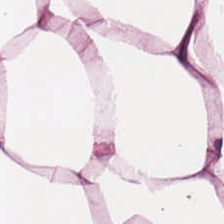Hematoxylin-and-eosin stained section. Adipose.
